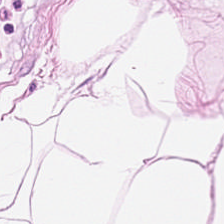Impression → adipose.
